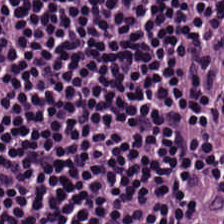H&E-stained tissue section; 224×224 px patch.
Classification = lymphocytic infiltrate.
